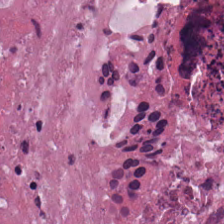H&E. 20× equivalent magnification — Cellular debris.
